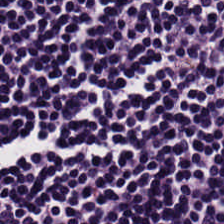FFPE tissue section. H&E. Brightfield microscopy — {"tissue_type": "lymphocytic infiltrate"}
